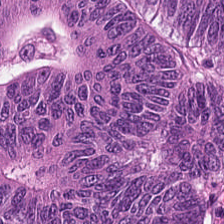Stain: H&E stain.
Acquisition: WSI patch.
Classification: malignant epithelium.
